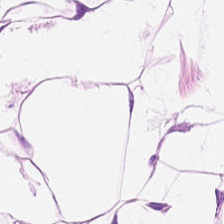H&E-stained section; the field shows adipose.
